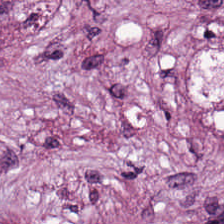Stain: H&E stain.
Predominant tissue: desmoplastic stroma.
